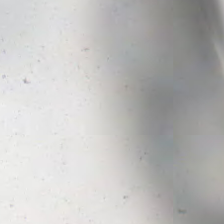Hematoxylin and eosin — Q: What is shown in this field?
A: The field shows no tissue.
